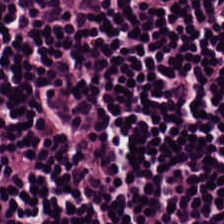The predominant tissue is lymphoid infiltrate.
